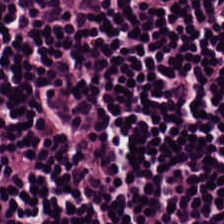The predominant tissue is lymphoid infiltrate.
